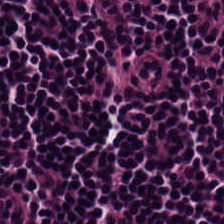H&E stain · brightfield. Predominantly lymphocytes.
